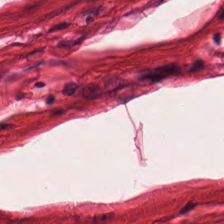Stain: H&E-stained tissue section.
Tile size: 224×224 px patch.
Resolution: 0.5 µm/px.
Tissue class: smooth muscle.
